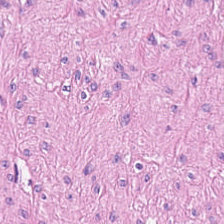H&E. 224×224 px patch. 0.5 µm/px.
The tissue here is smooth muscle.
